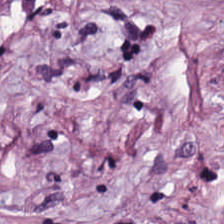Formalin-fixed paraffin-embedded section · H&E-stained tissue section.
The tissue is tumor-associated stroma.
